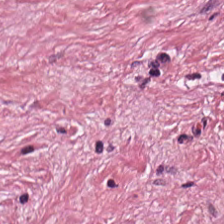0.5 µm/px. H&E stain. Tissue: tumor stroma.
